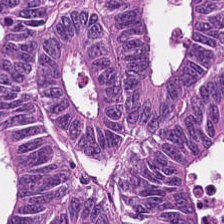224×224 px tile; H&E stain; WSI patch.
Predominant tissue — malignant epithelium.
